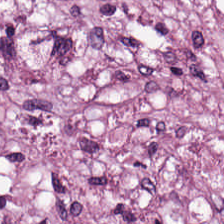Formalin-fixed paraffin-embedded section; H&E stain; whole-slide-image patch — Tissue class: cancer-associated stroma.
